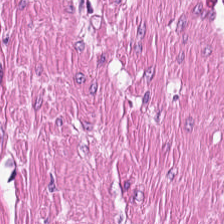H&E-stained tissue section.
Predominantly smooth-muscle tissue.
